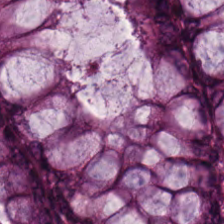Hematoxylin and eosin. This patch shows normal colonic mucosa.
